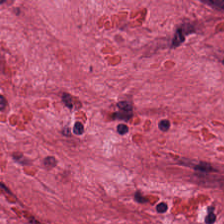Brightfield; hematoxylin and eosin.
The tissue here is cancer-associated stroma.
